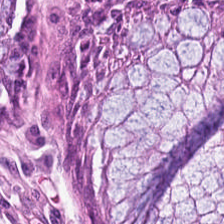Q: Identify the tissue.
A: This is normal colonic mucosa.
